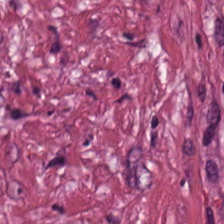H&E-stained tissue section showing tumor stroma.
